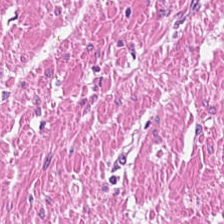Predominant tissue = smooth-muscle tissue.
